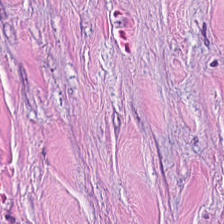H&E stain — Showing desmoplastic stroma.
